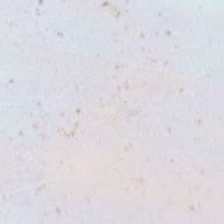Background.
